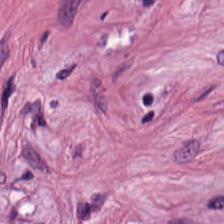Hematoxylin and eosin; 20× equivalent magnification; 224×224 px patch — Q: What does this patch show?
A: Tumor stroma.
